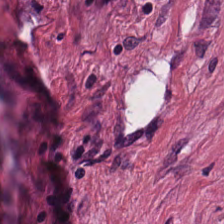Hematoxylin and eosin; 0.5 µm/px. Tissue class: cancer-associated stroma.
